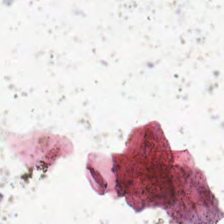Hematoxylin and eosin. 224×224 pixel tile — Background — no tissue in this field.
